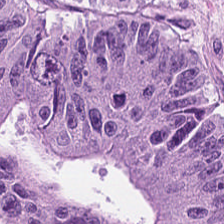Brightfield · hematoxylin-and-eosin stained section · 0.5 µm per pixel.
Predominantly tumor epithelium.
